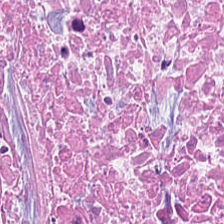H&E; 0.5 µm per pixel.
{"tissue_type": "necrotic debris"}
